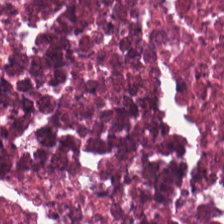Hematoxylin and eosin. Brightfield. The predominant tissue is debris.
